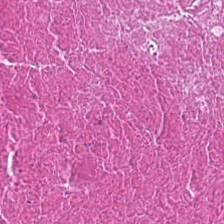H&E stain.
{"tissue_type": "debris"}
